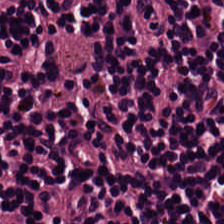Tissue = lymphocytic infiltrate.
